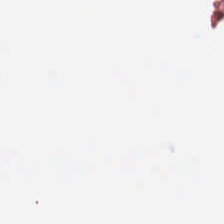Hematoxylin-and-eosin stained section. Empty background.
